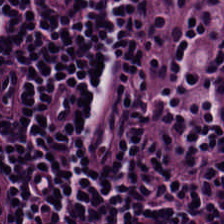FFPE tissue section. H&E. 20× equivalent magnification.
Q: What is shown here?
A: The field shows lymphoid infiltrate.
